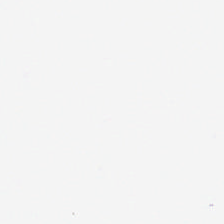Stain: H&E.
Content: no tissue.
